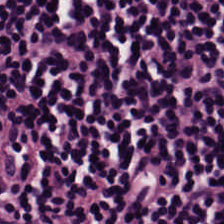Stain: H&E-stained tissue section.
Tile size: 224×224 pixel tile.
Tissue class: lymphocytes.
